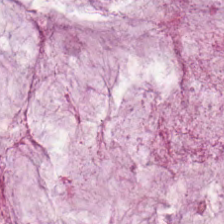H&E-stained tissue section · 0.5 µm/px · 224×224 px patch — The predominant tissue is mucus.
